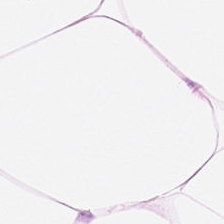Finding — fat tissue.
